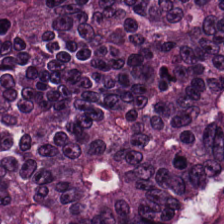H&E-stained tissue section — Tissue = adenocarcinoma.
